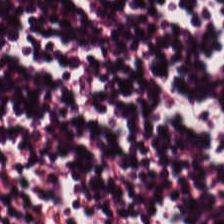Stain: hematoxylin-and-eosin stained section.
Tissue: lymphoid infiltrate.
